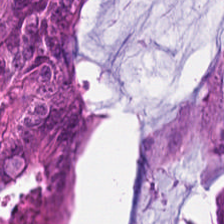H&E.
Showing malignant epithelium.
